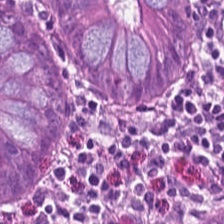Q: What does this patch show?
A: This is normal colonic mucosa.
